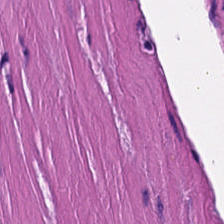Histology — muscularis.
